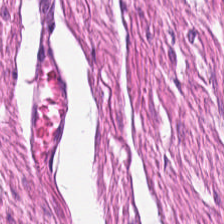Hematoxylin and eosin · brightfield.
Impression → smooth muscle.
